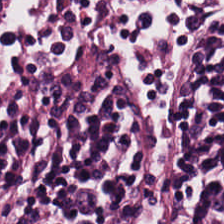H&E stain. FFPE tissue section. Q: Classify this patch.
A: This is lymphocytes.
